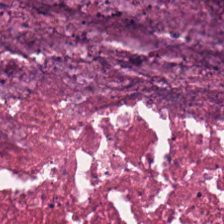Hematoxylin and eosin. 224×224 px tile.
Q: What type of tissue is this?
A: This is cellular debris.
